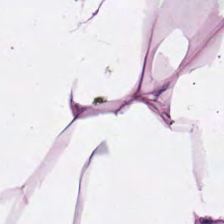H&E; formalin-fixed paraffin-embedded section; 0.5 microns per pixel — {"tissue_type": "fat tissue"}
